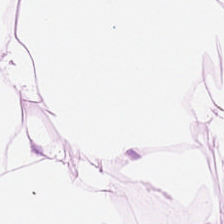H&E stain · 0.5 µm/px. The predominant tissue is adipose.
